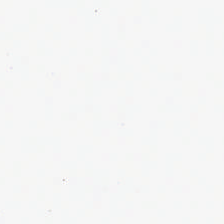Content — no tissue.
